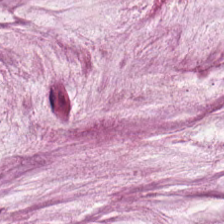This field is extracellular mucin.
